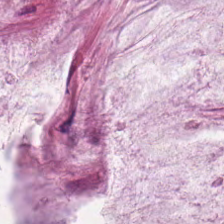Stain: hematoxylin and eosin.
Predominant tissue: mucus.
